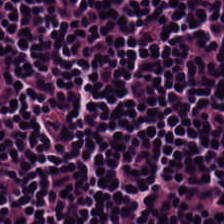Tissue type — lymphocyte aggregate.
